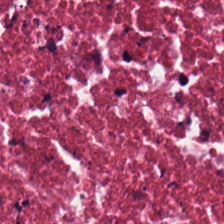Formalin-fixed paraffin-embedded section · 224×224 pixel tile · H&E stain.
The tissue here is necrotic debris.
